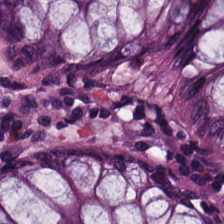H&E; 0.5 µm/px; FFPE — The predominant tissue is non-neoplastic colon mucosa.
